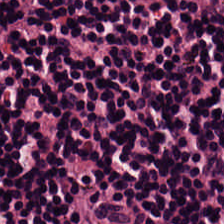H&E stain — Finding → lymphoid infiltrate.
